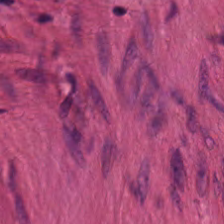20× equivalent magnification. H&E. The predominant tissue is smooth-muscle tissue.
